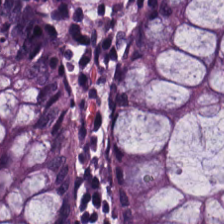Classification: non-neoplastic colon mucosa.
